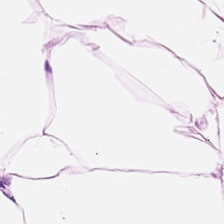H&E. Tissue: adipose.
